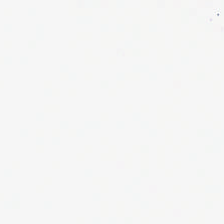The content is background (no tissue).
